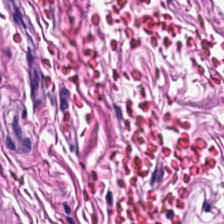H&E stain — The tissue here is muscularis.
